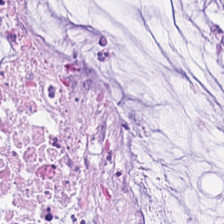FFPE tissue section · H&E. Showing mucus.
